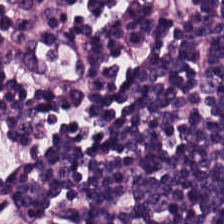0.5 µm/px · formalin-fixed paraffin-embedded section · H&E — Tissue type — lymphocyte aggregate.
